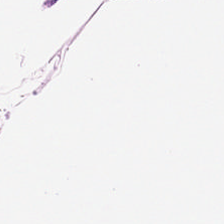Adipocytes.
